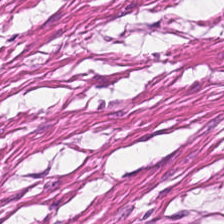Hematoxylin-and-eosin stained section — Q: What tissue type is shown here?
A: Smooth muscle.
